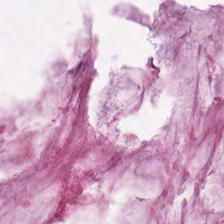H&E stain.
Q: What is shown in this field?
A: The field shows extracellular mucin.
